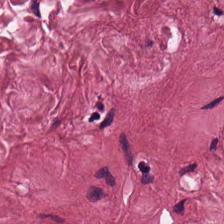H&E-stained tissue section. 224×224 px patch. Q: Identify the tissue.
A: It is cancer-associated stroma.
